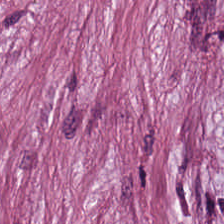H&E stain · FFPE · brightfield. Q: What does this patch show?
A: This is desmoplastic stroma.
